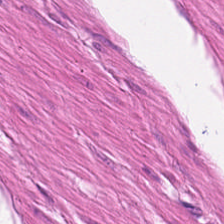H&E-stained tissue section. Showing smooth-muscle tissue.
